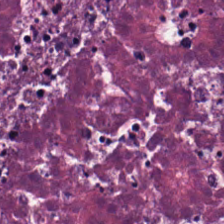H&E-stained tissue section showing cellular debris.
